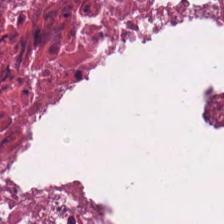H&E patch showing cellular debris.
